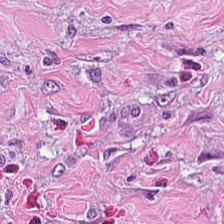224×224 px tile; hematoxylin and eosin; 0.5 microns per pixel. Q: What does this patch show?
A: The field shows desmoplastic stroma.
